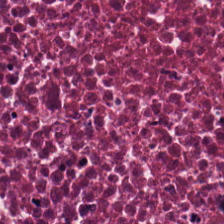Hematoxylin-and-eosin stained section. Tissue type: cellular debris.
